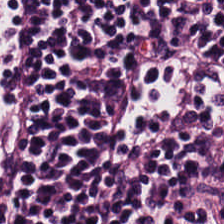H&E-stained tissue section. Predominant tissue: lymphoid infiltrate.
